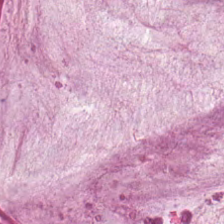Hematoxylin-and-eosin stained section — This patch shows mucus.
